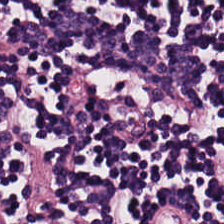H&E-stained tissue section.
The tissue here is lymphocyte aggregate.
